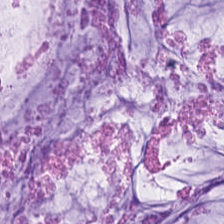The classification is extracellular mucin.
